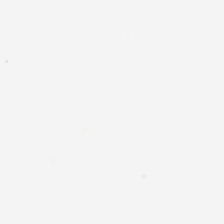The classification is background.
